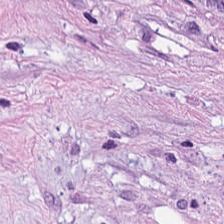The tissue here is desmoplastic stroma.
